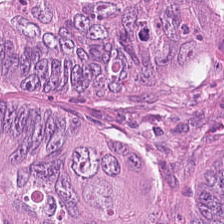H&E stain. 0.5 µm per pixel.
The predominant tissue is colorectal adenocarcinoma.
